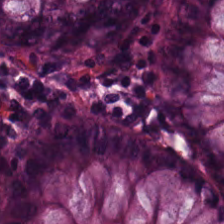0.5 microns per pixel · 224×224 px tile · H&E. The predominant tissue is non-neoplastic colon mucosa.
